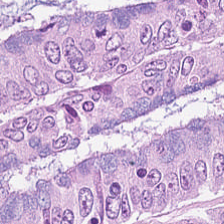H&E-stained tissue section. Tissue type = tumor epithelium.
